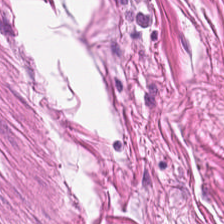Hematoxylin-and-eosin stained section.
The tissue is smooth muscle.
